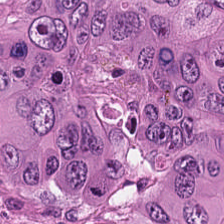H&E — adenocarcinoma.
